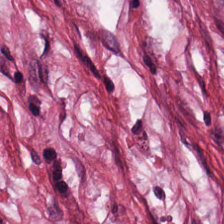Whole-slide-image patch; 224×224 px patch; H&E — Tumor stroma.
